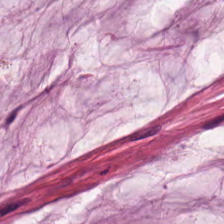Hematoxylin and eosin. FFPE tissue section. Brightfield microscopy — Q: What tissue is shown?
A: Mucus.
